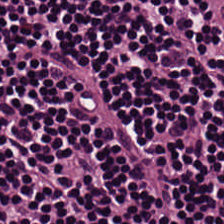H&E stain — Tissue type = lymphocyte aggregate.
